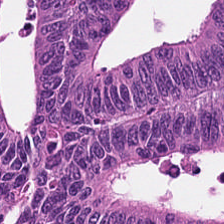H&E-stained tissue section. WSI patch. 224×224 px patch.
Colorectal adenocarcinoma epithelium.
